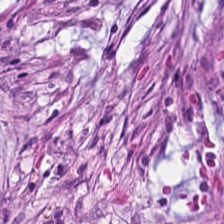0.5 µm per pixel. Hematoxylin-and-eosin stained section — The tissue class is tumor stroma.
